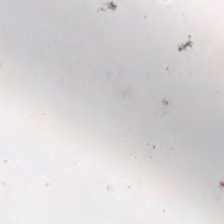Hematoxylin and eosin.
This patch shows no tissue.
